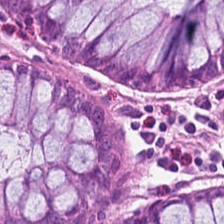Q: Classify this patch.
A: Normal colonic mucosa.
